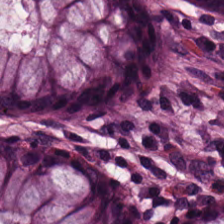H&E-stained tissue section — This patch shows benign colonic mucosa.
